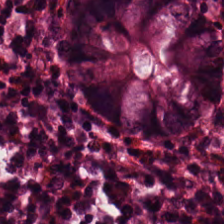H&E stain; 0.5 µm/px; FFPE. The predominant tissue is normal colon mucosa.
